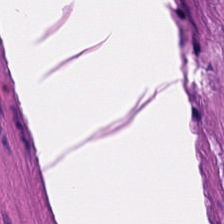Hematoxylin and eosin.
Showing smooth muscle.
